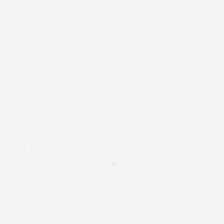Content — empty background.
